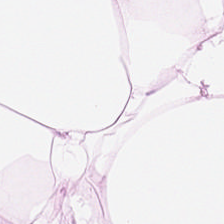Hematoxylin and eosin. 224×224 px tile. FFPE. Tissue class — fat tissue.
